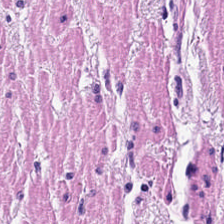Formalin-fixed paraffin-embedded section. Hematoxylin and eosin. Whole-slide-image patch — Tissue type: smooth muscle.
